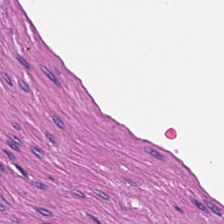Formalin-fixed paraffin-embedded section. H&E-stained tissue section. 224×224 px patch — Showing muscularis.
